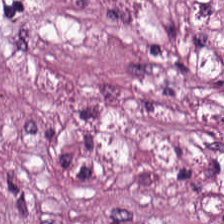Brightfield · H&E.
Tissue type — cancer-associated stroma.
